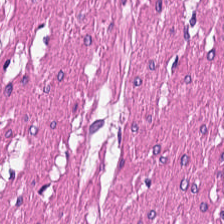Hematoxylin and eosin · FFPE tissue section — Classification — smooth-muscle tissue.
